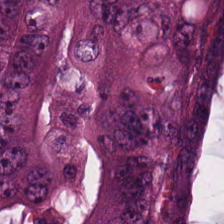{"tissue_type": "tumor epithelium"}
